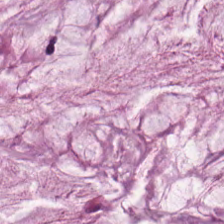Hematoxylin-and-eosin section: extracellular mucin.
